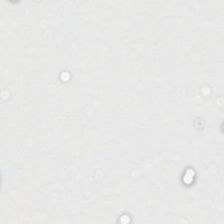Q: What is shown in this field?
A: Empty background.
